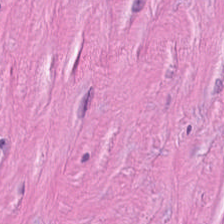Hematoxylin-and-eosin stained section. Q: What type of tissue is this?
A: The field shows tumor stroma.
